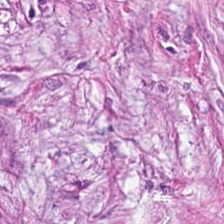This field is cancer-associated stroma.
